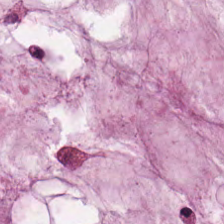H&E patch showing extracellular mucin.
